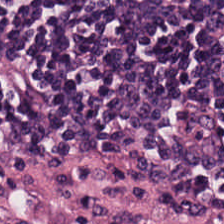H&E stain. Whole-slide-image patch — Q: What does this patch show?
A: Lymphocytic infiltrate.
